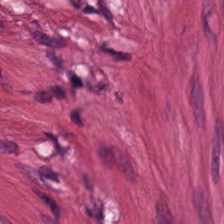H&E stain. The tissue class is smooth-muscle tissue.
